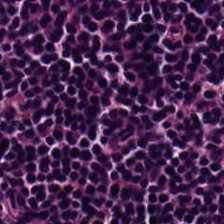0.5 microns per pixel; hematoxylin-and-eosin stained section; FFPE.
Tissue type = lymphocytic infiltrate.
